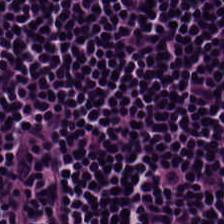20× equivalent magnification. H&E.
Showing lymphocytic infiltrate.
